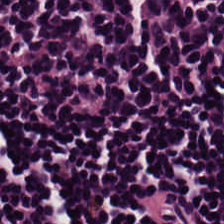H&E stain.
Histology → lymphocytes.
